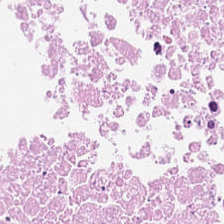H&E stain · 0.5 µm/px · 224×224 px tile.
The predominant tissue is debris.
